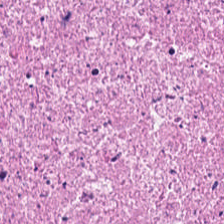FFPE; hematoxylin-and-eosin stained section — Predominantly debris.
